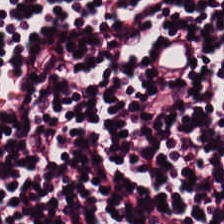Hematoxylin and eosin; 0.5 µm/px. Predominantly lymphocyte aggregate.
